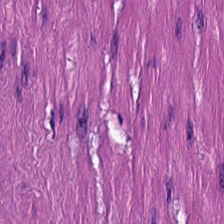0.5 microns per pixel. Hematoxylin-and-eosin stained section.
Q: What tissue type is shown here?
A: This is smooth muscle.
